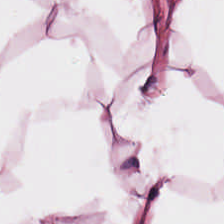0.5 µm per pixel; hematoxylin-and-eosin stained section.
This patch shows adipocytes.
